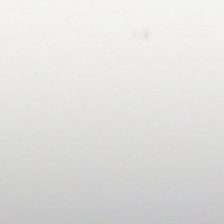H&E. 20× equivalent magnification — Q: What does this patch show?
A: This is background.
